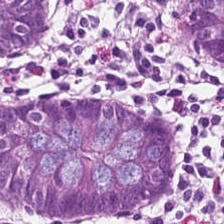224×224 px patch; H&E stain; 0.5 µm per pixel. Tissue type — normal colon mucosa.
